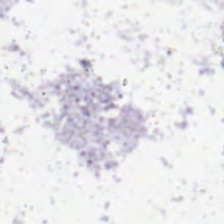20× equivalent magnification · H&E. Q: What does this patch show?
A: The field shows background.
